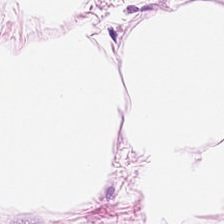Tissue class: fat tissue.
